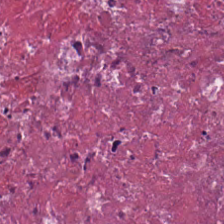H&E-stained tissue section · FFPE. Impression — necrotic debris.
